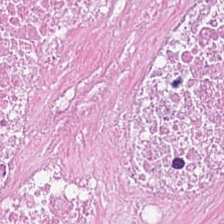H&E — This patch shows cellular debris.
